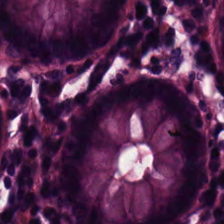0.5 microns per pixel · H&E. This field is non-neoplastic colon mucosa.
